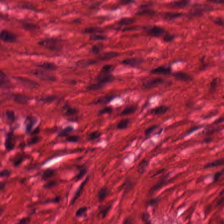{"tissue_type": "muscularis"}
